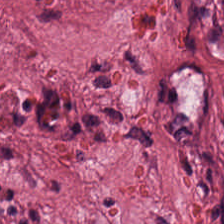H&E. Finding — tumor stroma.
